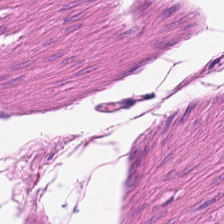{"tissue_type": "smooth muscle"}
